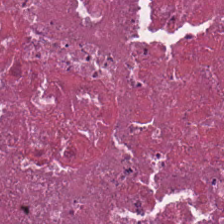Hematoxylin-and-eosin stained section.
Cellular debris.
